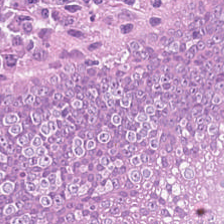Hematoxylin and eosin. Formalin-fixed paraffin-embedded section. Showing colorectal adenocarcinoma.
